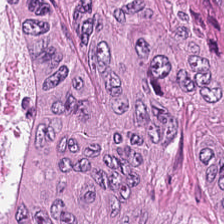Stain: H&E.
Tissue type: tumor epithelium.
